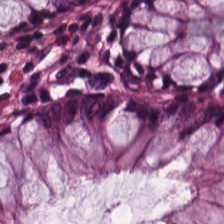Stain: hematoxylin-and-eosin stained section.
Preparation: FFPE tissue section.
Resolution: 0.5 microns per pixel.
Tissue class: non-neoplastic colon mucosa.
